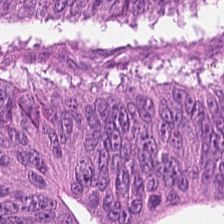20× equivalent magnification · 224×224 pixel tile · H&E.
This patch shows malignant epithelium.
